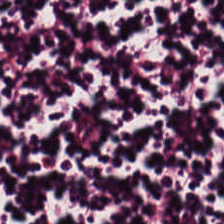H&E-stained tissue section; 224×224 px patch; 0.5 µm per pixel.
Predominantly lymphoid infiltrate.
